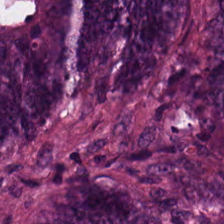{"tissue_type": "malignant epithelium"}
